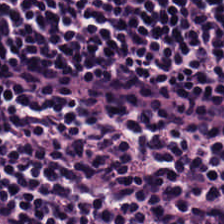H&E-stained tissue section. This field is lymphocyte aggregate.
